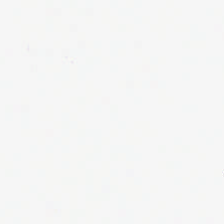Histology → background (no tissue).
